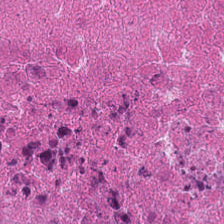H&E. Showing cellular debris.
